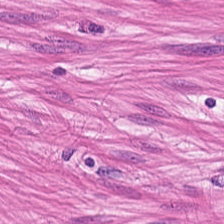Hematoxylin-and-eosin stained section. {"tissue_type": "muscularis"}
